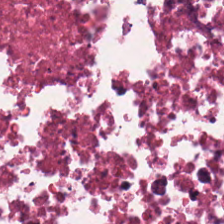H&E · WSI patch — Q: Classify this patch.
A: The field shows debris.
